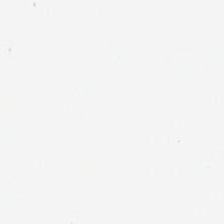The content is background (no tissue).
